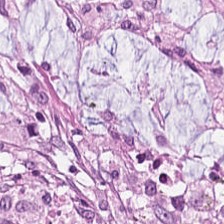224×224 px patch · brightfield microscopy · H&E — Predominantly tumor-associated stroma.
